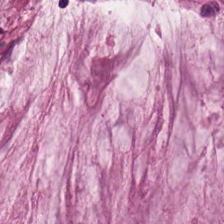H&E-stained tissue section — This field is mucin.
